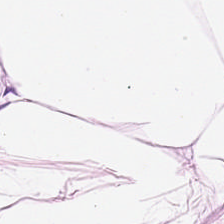Hematoxylin and eosin.
Q: What is the predominant tissue type?
A: This is adipose.
